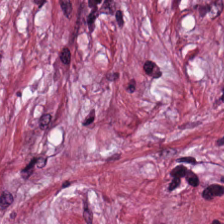H&E — {"tissue_type": "tumor-associated stroma"}
